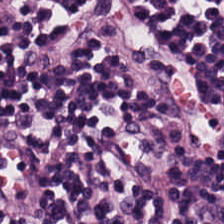Stain: hematoxylin-and-eosin stained section.
Predominant tissue: lymphocytic infiltrate.
